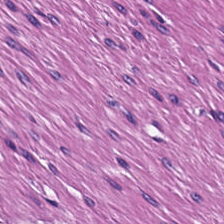Whole-slide-image patch. Hematoxylin and eosin. Predominantly smooth-muscle tissue.
